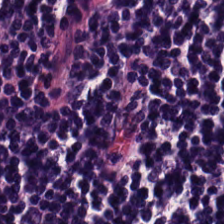224×224 px patch · formalin-fixed paraffin-embedded section · H&E stain — Predominant tissue = lymphocytes.
